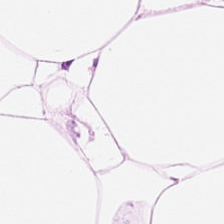Tissue: fat tissue.
